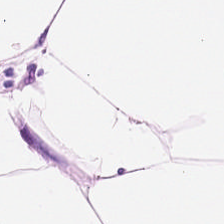This patch shows fat tissue.
